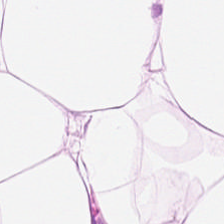This patch shows fat tissue.
